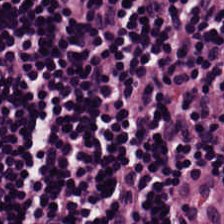Hematoxylin and eosin; 224×224 px patch.
Tissue class — lymphocyte aggregate.
